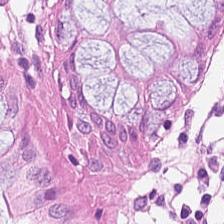H&E stain. Tissue class — non-neoplastic colon mucosa.
